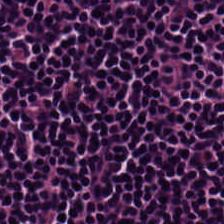Stain: H&E stain.
Classification: lymphocytes.
